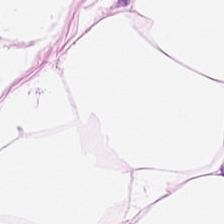Hematoxylin and eosin.
This patch shows fat tissue.
